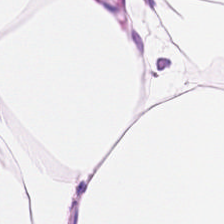Stain: hematoxylin-and-eosin stained section.
Tile size: 224×224 px patch.
Acquisition: whole-slide-image patch.
Tissue: adipocytes.
